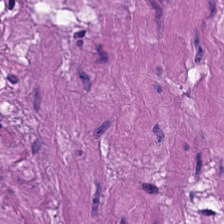Hematoxylin and eosin. This patch shows muscularis.
